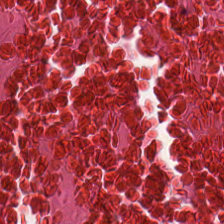Q: Classify this patch.
A: Necrotic debris.
